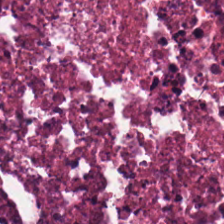Stain: H&E.
Resolution: 0.5 µm/px.
Predominant tissue: debris.
